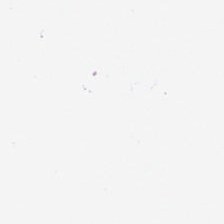H&E stain.
The content is empty background.
